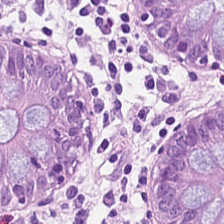Stain: H&E-stained tissue section.
Tissue type: normal colon mucosa.
